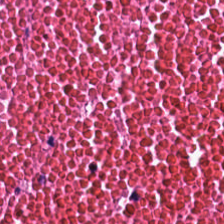The predominant tissue is necrotic debris.
